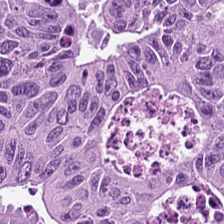Hematoxylin-and-eosin stained section. 224×224 pixel tile.
The classification is malignant epithelium.
